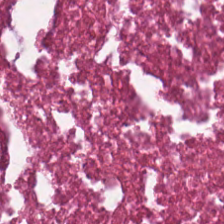H&E.
The classification is debris.
